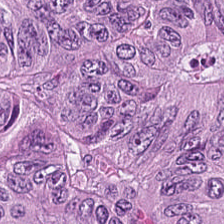Hematoxylin-and-eosin stained section. Tumor epithelium.
